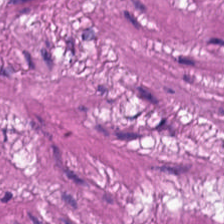H&E — Tissue = smooth muscle.
